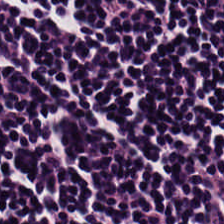H&E · brightfield · 0.5 µm per pixel. The classification is lymphoid infiltrate.
